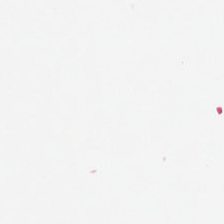FFPE tissue section; H&E-stained tissue section. Classification = empty background.
